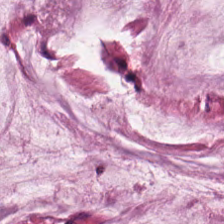H&E-stained tissue section. Q: What is the predominant tissue type?
A: This is extracellular mucin.
